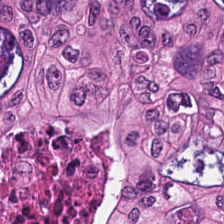The tissue here is colorectal adenocarcinoma epithelium.
